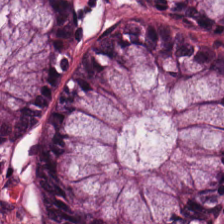The tissue type is normal colonic mucosa.
